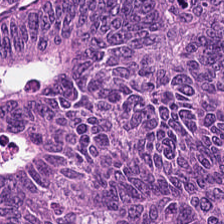224×224 px patch; hematoxylin and eosin.
Histology — malignant epithelium.
